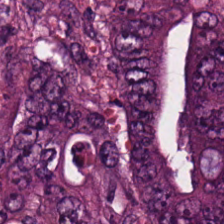H&E. Colorectal adenocarcinoma.
